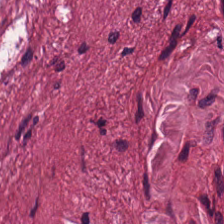Formalin-fixed paraffin-embedded section · H&E — Showing desmoplastic stroma.
